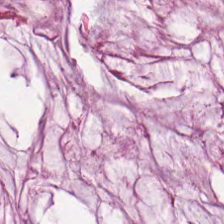H&E stain — Tissue = mucus.
